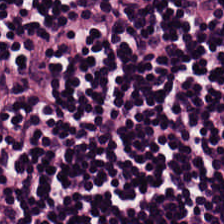Showing lymphocytes.
